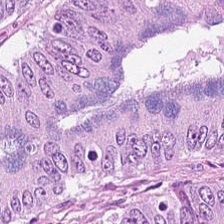H&E-stained tissue section. 224×224 px tile. 20× equivalent magnification — Q: What tissue is shown?
A: This is tumor epithelium.
